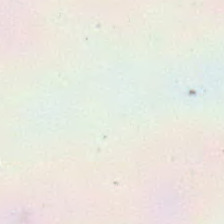Stain: H&E.
Field content: background.
